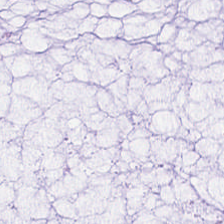Hematoxylin and eosin — Tissue: mucus.
